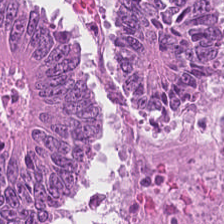H&E-stained tissue section. Predominant tissue = colorectal adenocarcinoma.
